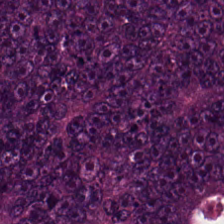H&E.
Showing malignant epithelium.
